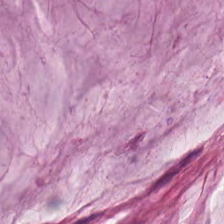H&E-stained tissue section; formalin-fixed paraffin-embedded section — Q: What does this patch show?
A: It is mucin.
